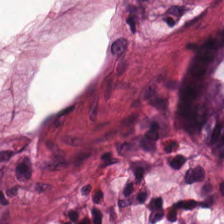H&E-stained tissue section — Tissue — normal colonic mucosa.
